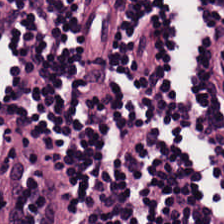Stain: H&E stain.
Tissue class: lymphocytic infiltrate.
